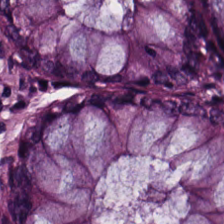Tissue type: benign colonic mucosa.
